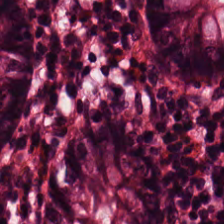Brightfield; H&E-stained tissue section — Tissue class: benign colonic mucosa.
